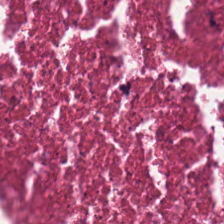H&E stain — The tissue here is debris.
